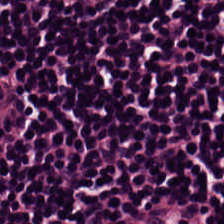The predominant tissue is lymphocyte aggregate.
